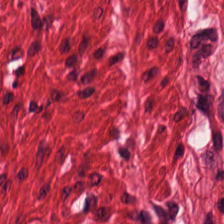H&E.
Tissue: smooth-muscle tissue.
